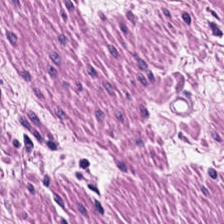H&E patch showing smooth muscle.
